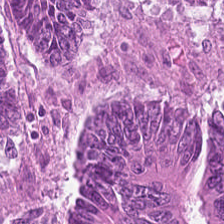Whole-slide-image patch. Hematoxylin and eosin.
Tissue class — colorectal adenocarcinoma.
